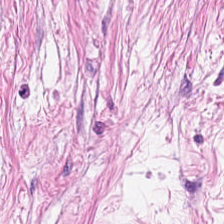Stain: H&E.
Classification: tumor stroma.
